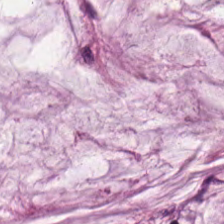Hematoxylin-and-eosin stained section.
Tissue = mucin.
